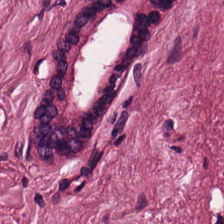H&E. Whole-slide-image patch — Histology → tumor stroma.
